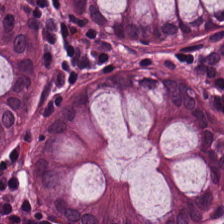Hematoxylin and eosin · whole-slide-image patch. The tissue type is normal colonic mucosa.
